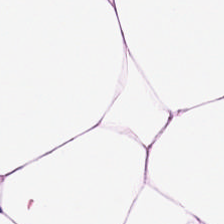0.5 µm per pixel · hematoxylin-and-eosin stained section — Finding — adipose tissue.
